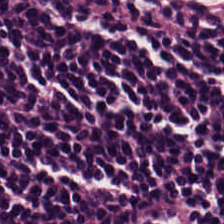H&E. {"tissue_type": "lymphocytic infiltrate"}
